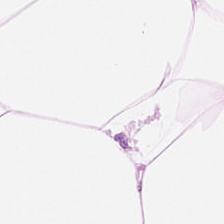H&E-stained section; the field shows adipose.
